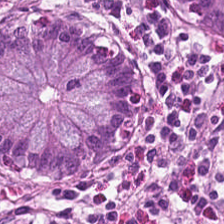H&E-stained tissue section.
The predominant tissue is normal colonic mucosa.
